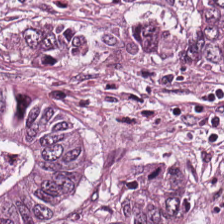224×224 px tile. H&E. WSI patch — {"tissue_type": "colorectal adenocarcinoma epithelium"}
